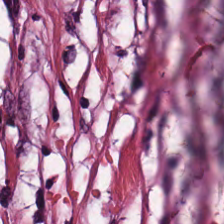H&E; 224×224 px tile — Tissue: tumor-associated stroma.
